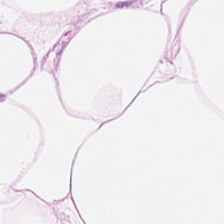Q: What is shown here?
A: Adipose.
